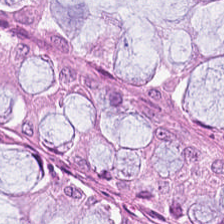Hematoxylin-and-eosin stained section. Predominant tissue — non-neoplastic colon mucosa.
